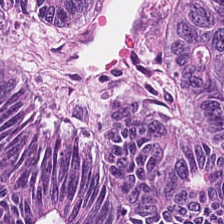224×224 px tile · H&E-stained tissue section.
Colorectal adenocarcinoma epithelium.
